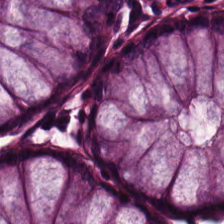H&E-stained tissue section — Q: What is shown in this field?
A: Non-neoplastic colon mucosa.
